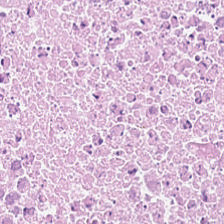Stain: hematoxylin and eosin.
Tissue class: debris.
